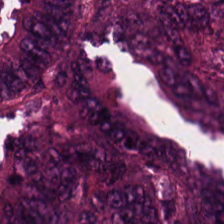Brightfield microscopy · H&E stain — Colorectal adenocarcinoma epithelium.
